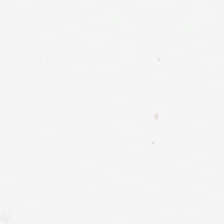H&E — Classification: background (no tissue).
